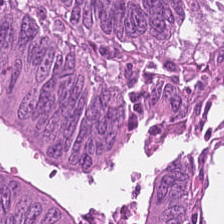Q: Identify the tissue.
A: This is malignant epithelium.
